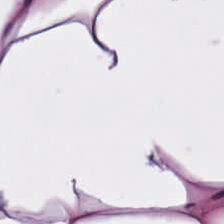H&E stain — Impression → adipose tissue.
